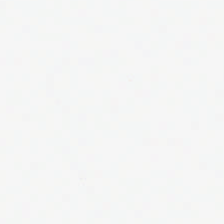224×224 px tile. Hematoxylin and eosin. Empty field — empty background.
